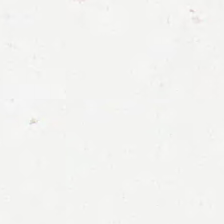WSI patch · hematoxylin-and-eosin stained section. This field is background (no tissue).
